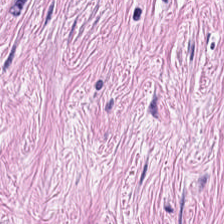WSI patch. H&E — Predominant tissue — tumor-associated stroma.
